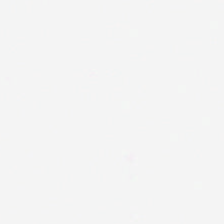Finding — no tissue.
